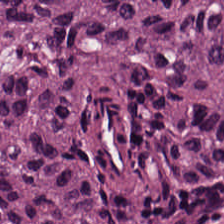H&E-stained tissue section — Q: Identify the tissue.
A: Malignant epithelium.
